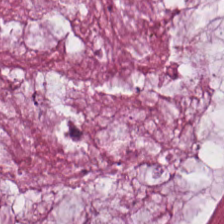Hematoxylin-and-eosin stained section. Impression → mucin.
